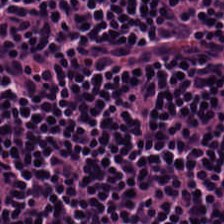FFPE. H&E stain — Histology — lymphocytes.
